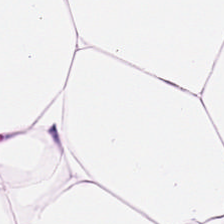Formalin-fixed paraffin-embedded section; hematoxylin-and-eosin stained section; whole-slide-image patch. Tissue class = adipose tissue.
